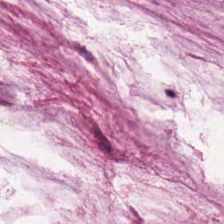H&E stain; brightfield microscopy. Impression — extracellular mucin.
